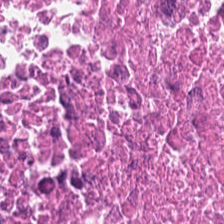H&E-stained tissue section. Tissue type — debris.
